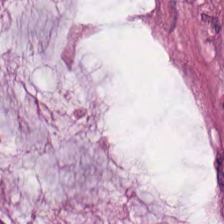Brightfield; H&E stain; 0.5 µm per pixel — This patch shows mucin.
